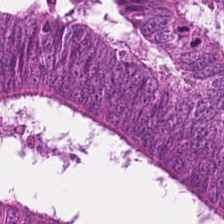Stain: hematoxylin-and-eosin stained section.
Preparation: formalin-fixed paraffin-embedded section.
Tile size: 224×224 pixel tile.
Tissue: colorectal adenocarcinoma.
